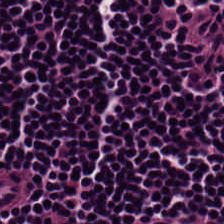Q: What does this patch show?
A: The field shows lymphocyte aggregate.
